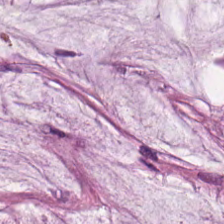Hematoxylin and eosin; formalin-fixed paraffin-embedded section. {"tissue_type": "mucus"}
